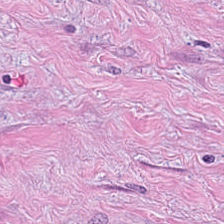Predominantly cancer-associated stroma.
